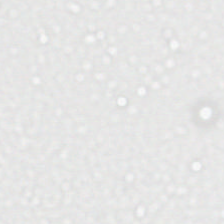No tissue present; background only.
